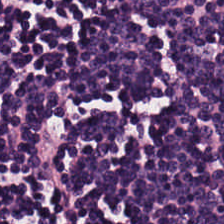H&E-stained tissue section. 20× equivalent magnification.
Lymphoid infiltrate.
